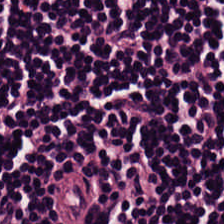Whole-slide-image patch; hematoxylin-and-eosin stained section.
Impression → lymphocyte aggregate.
